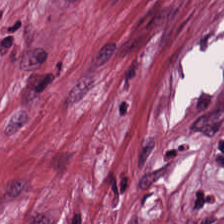Hematoxylin-and-eosin stained section · formalin-fixed paraffin-embedded section — Predominantly cancer-associated stroma.
